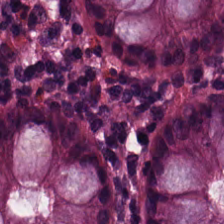H&E-stained tissue section · brightfield microscopy · 224×224 px tile. Predominantly benign colonic mucosa.
